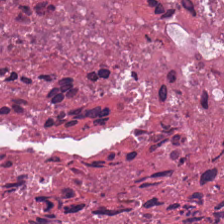H&E — Necrotic debris.
